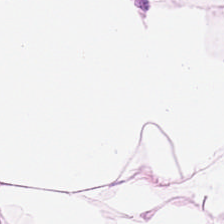Hematoxylin-and-eosin stained section. The tissue here is adipose.
